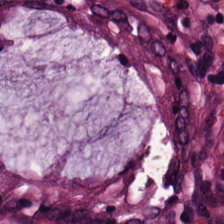H&E. The predominant tissue is non-neoplastic colon mucosa.
